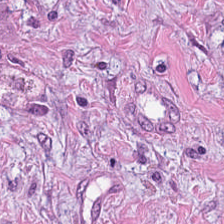Q: What type of tissue is this?
A: It is tumor stroma.
